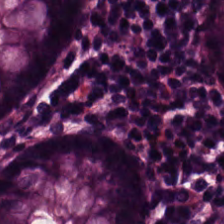Hematoxylin and eosin; brightfield — Predominantly normal colon mucosa.
